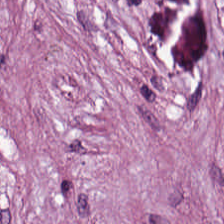Whole-slide-image patch; H&E stain — The tissue type is cancer-associated stroma.
